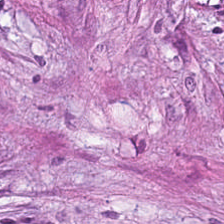{"tissue_type": "desmoplastic stroma"}
